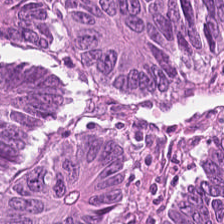FFPE; H&E — Tissue type: colorectal adenocarcinoma epithelium.
